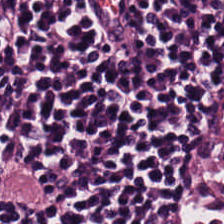H&E stain; formalin-fixed paraffin-embedded section. Tissue class — lymphocytic infiltrate.
